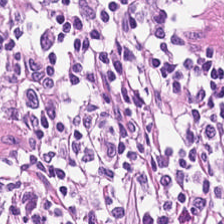H&E stain. The tissue here is lymphocytes.
